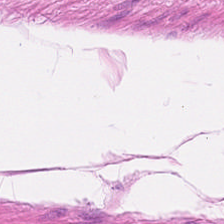Stain: H&E stain.
Tissue type: smooth muscle.
